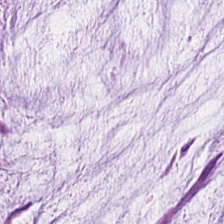Brightfield. H&E stain. Formalin-fixed paraffin-embedded section. This field is extracellular mucin.
